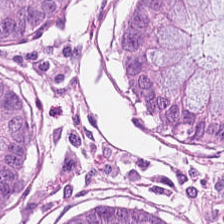H&E stain.
Showing benign colonic mucosa.
